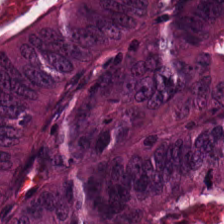H&E stain. 224×224 pixel tile. Predominantly colorectal adenocarcinoma epithelium.
